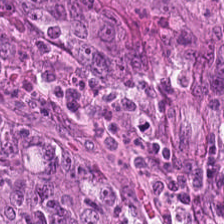H&E-stained tissue section showing malignant epithelium.
